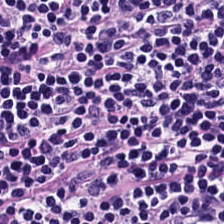H&E-stained tissue section — {"tissue_type": "lymphocytic infiltrate"}
